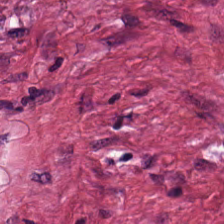WSI patch; hematoxylin and eosin. Impression — tumor stroma.
